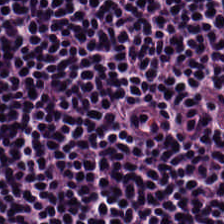Formalin-fixed paraffin-embedded section. Hematoxylin and eosin — The predominant tissue is lymphocytes.
